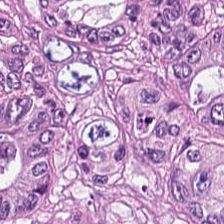H&E. Colorectal adenocarcinoma.
